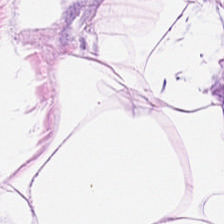Hematoxylin-and-eosin stained section · whole-slide-image patch. Q: Classify this patch.
A: This is fat tissue.
